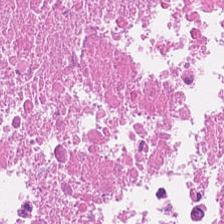FFPE tissue section. H&E stain — Q: What tissue is shown?
A: This is debris.
